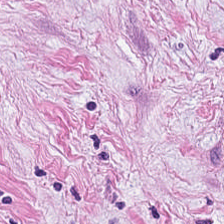H&E — desmoplastic stroma.
